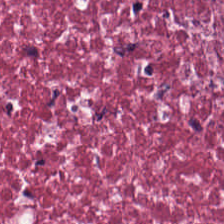20× equivalent magnification; H&E; WSI patch.
Showing desmoplastic stroma.
